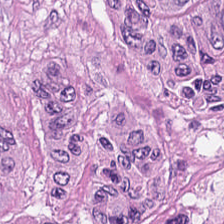Whole-slide-image patch; hematoxylin and eosin; formalin-fixed paraffin-embedded section.
Tissue class: adenocarcinoma.
